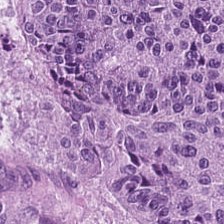Hematoxylin and eosin. Q: What does this patch show?
A: Malignant epithelium.
